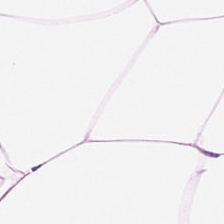Finding → fat tissue.
